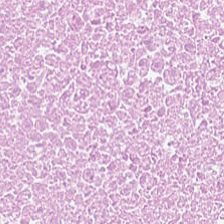224×224 pixel tile. Hematoxylin-and-eosin stained section. 0.5 µm per pixel.
{"tissue_type": "necrotic debris"}
